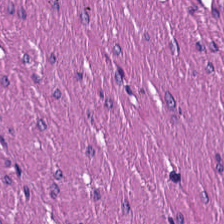The tissue here is smooth muscle.
